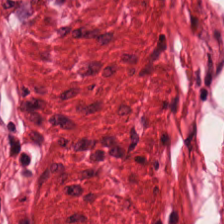H&E stain. 0.5 µm/px. FFPE tissue section.
{"tissue_type": "smooth muscle"}
